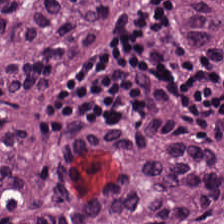Hematoxylin and eosin.
Predominantly colorectal adenocarcinoma epithelium.
